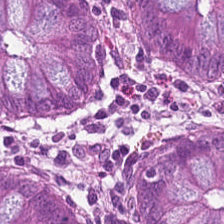Whole-slide-image patch. Hematoxylin and eosin — This patch shows normal colon mucosa.
